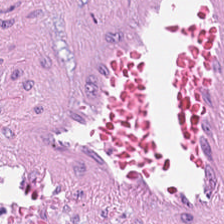Q: What is shown in this field?
A: It is tumor stroma.
